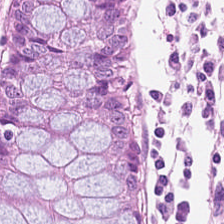Predominantly benign colonic mucosa.
